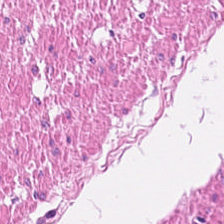FFPE tissue section. H&E — The tissue here is muscularis.
